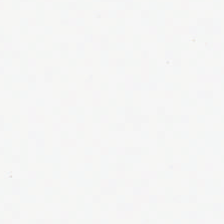Stain: H&E stain.
Preparation: FFPE tissue section.
Resolution: 0.5 microns per pixel.
Classification: no tissue.
